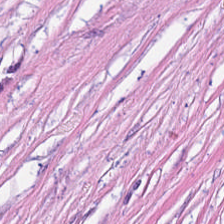H&E. The tissue here is tumor stroma.
